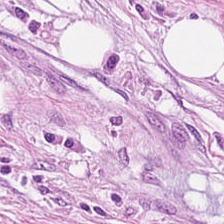H&E · formalin-fixed paraffin-embedded section — Showing tumor-associated stroma.
